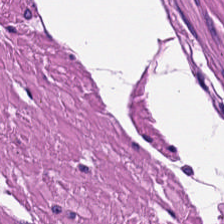224×224 px patch; formalin-fixed paraffin-embedded section; hematoxylin and eosin. This patch shows muscularis.
